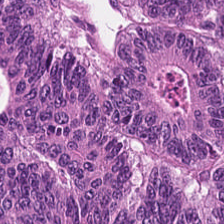H&E patch showing colorectal adenocarcinoma epithelium.
